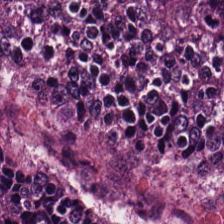224×224 px patch; FFPE; hematoxylin-and-eosin stained section.
Predominantly tumor epithelium.
